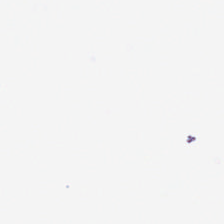H&E-stained tissue section · 224×224 px tile.
Impression — no tissue.
